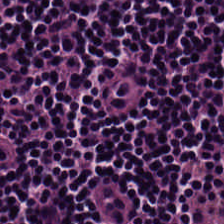Hematoxylin and eosin. Q: What is shown here?
A: This is lymphocyte aggregate.
